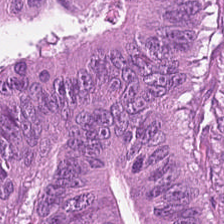Finding — malignant epithelium.
